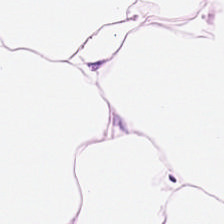H&E patch showing adipocytes.
